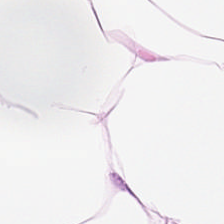{"tissue_type": "adipose tissue"}
